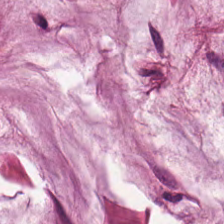H&E patch showing mucin.
